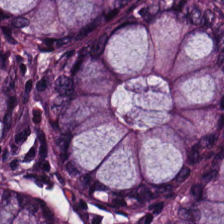H&E stain. Q: What is shown in this field?
A: It is benign colonic mucosa.
